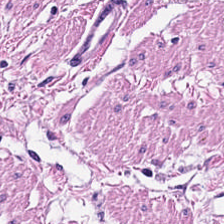H&E stain — Tissue type: smooth muscle.
